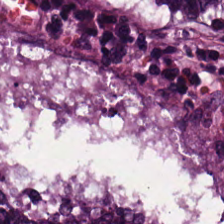The tissue here is colorectal adenocarcinoma.
